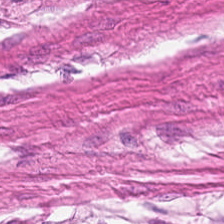Predominantly muscularis.
